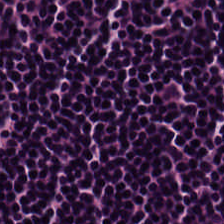Q: Classify this patch.
A: The field shows lymphocytic infiltrate.
